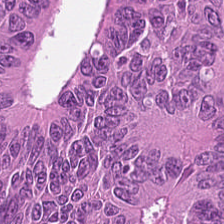Formalin-fixed paraffin-embedded section. Hematoxylin and eosin.
The predominant tissue is colorectal adenocarcinoma epithelium.
